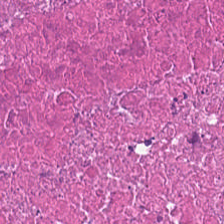H&E · 0.5 µm per pixel · FFPE tissue section.
The predominant tissue is necrotic debris.
